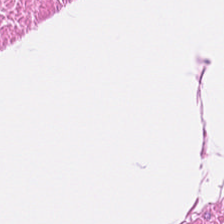Hematoxylin-and-eosin stained section — Q: What tissue type is shown here?
A: It is muscularis.
